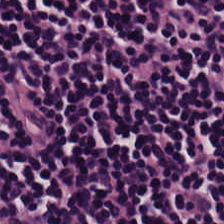Hematoxylin-and-eosin stained section. The predominant tissue is lymphoid infiltrate.
